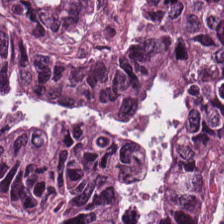H&E stain.
{"tissue_type": "colorectal adenocarcinoma epithelium"}
